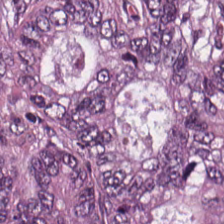H&E-stained tissue section; 20× equivalent magnification.
Q: Classify this patch.
A: The field shows colorectal adenocarcinoma epithelium.
